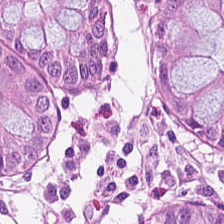Hematoxylin-and-eosin stained section. Normal colonic mucosa.
